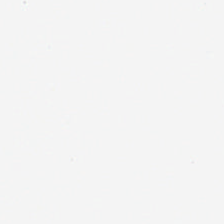Stain: H&E stain.
Classification: background (no tissue).
